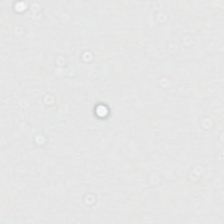H&E — The field content is background (no tissue).
